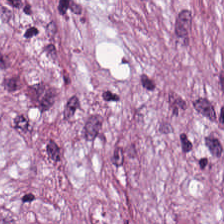H&E stain.
Q: Classify this patch.
A: This is tumor stroma.
